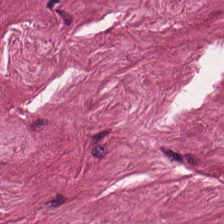Hematoxylin and eosin · formalin-fixed paraffin-embedded section.
Tissue = tumor stroma.
